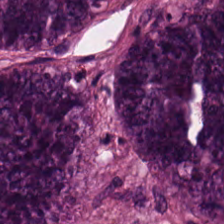Hematoxylin and eosin — Tissue type: colorectal adenocarcinoma epithelium.
